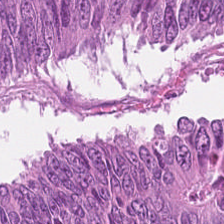H&E. Formalin-fixed paraffin-embedded section — Impression → adenocarcinoma.
